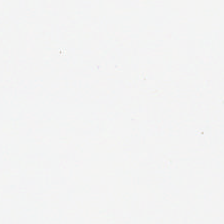Brightfield microscopy; hematoxylin and eosin; formalin-fixed paraffin-embedded section — Empty field — background (no tissue).
